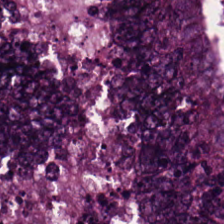H&E stain. Predominantly colorectal adenocarcinoma.
